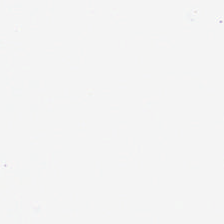Empty field — no tissue.
